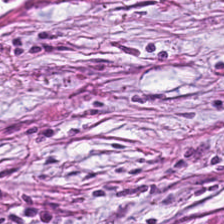Stain: H&E.
Preparation: formalin-fixed paraffin-embedded section.
Resolution: 0.5 microns per pixel.
Tissue type: desmoplastic stroma.
